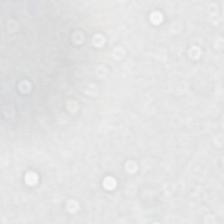H&E stain. The classification is no tissue.
